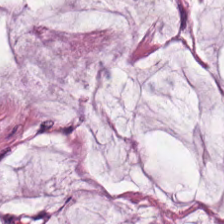Hematoxylin and eosin. Q: What tissue is shown?
A: The field shows mucin.
